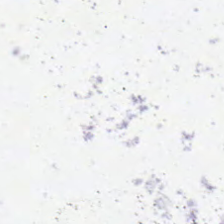Hematoxylin and eosin — Q: Classify this patch.
A: The field shows background.
